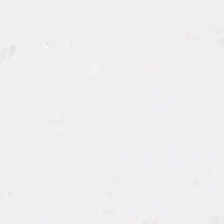Hematoxylin and eosin. Histology → background (no tissue).
